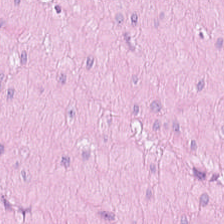WSI patch; hematoxylin-and-eosin stained section — Finding → smooth muscle.
